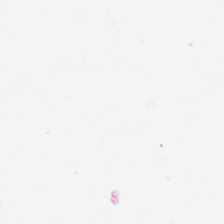20× equivalent magnification · H&E · 224×224 px patch.
This patch shows no tissue.
